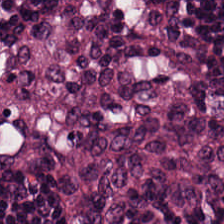H&E-stained tissue section; 224×224 pixel tile.
Q: What is shown in this field?
A: Lymphocytes.
